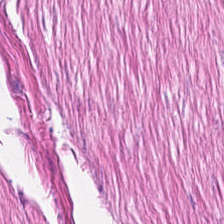H&E-stained tissue section.
Q: What tissue type is shown here?
A: Muscularis.
